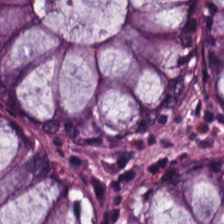H&E stain.
Predominant tissue: normal colonic mucosa.
